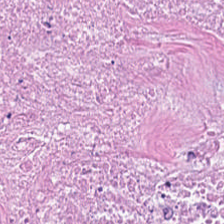H&E-stained tissue section — Q: What is shown in this field?
A: It is cellular debris.
